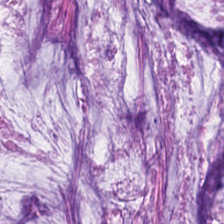H&E. FFPE tissue section — Finding → mucin.
